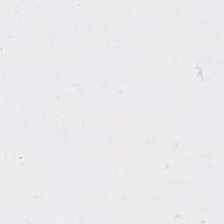H&E stain — No tissue present; background only.
